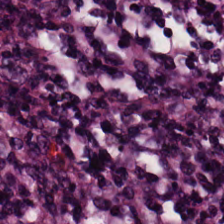0.5 microns per pixel · H&E stain · 224×224 px tile — Classification — lymphocytes.
